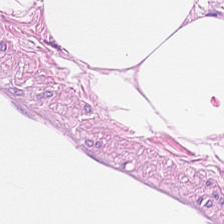{"tissue_type": "adipose tissue"}
